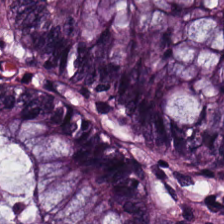0.5 µm/px; H&E — Q: Identify the tissue.
A: This is normal colonic mucosa.
